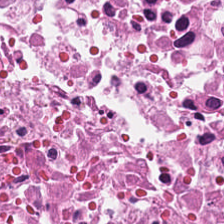H&E-stained tissue section; WSI patch; 20× equivalent magnification — The tissue here is necrotic debris.
